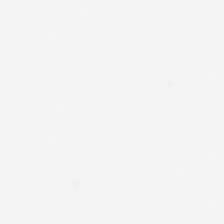Hematoxylin and eosin. The field content is empty background.
